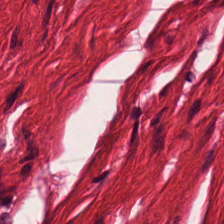Hematoxylin-and-eosin stained section. 224×224 px tile. Smooth muscle.
